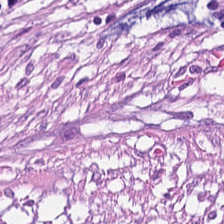Hematoxylin-and-eosin stained section — {"tissue_type": "desmoplastic stroma"}
